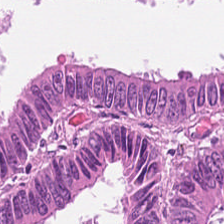Classification = colorectal adenocarcinoma epithelium.
